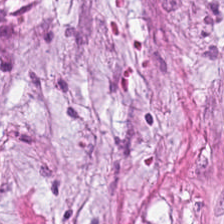Hematoxylin and eosin. Q: What does this patch show?
A: The field shows cancer-associated stroma.
